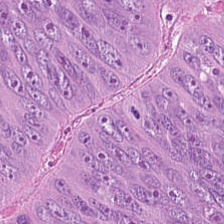H&E-stained tissue section. Brightfield. 0.5 microns per pixel — Malignant epithelium.
